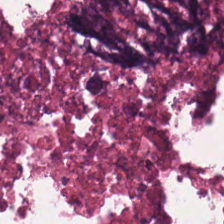H&E — {"tissue_type": "necrotic debris"}
